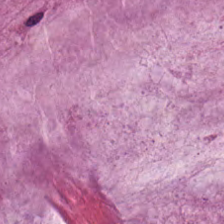Predominant tissue — mucus.
